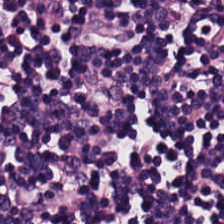H&E-stained tissue section; 224×224 pixel tile. The tissue is lymphocyte aggregate.
